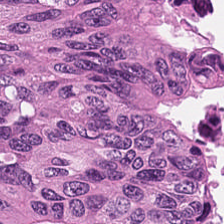H&E stain · 224×224 px tile · 0.5 microns per pixel.
{"tissue_type": "debris"}
